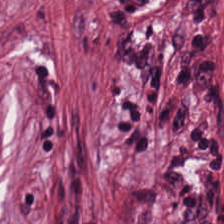0.5 microns per pixel; hematoxylin and eosin; brightfield.
Impression → desmoplastic stroma.
